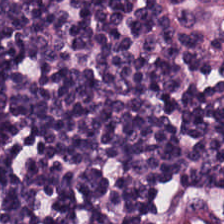Hematoxylin and eosin. 224×224 pixel tile. 0.5 microns per pixel. Q: What is the predominant tissue type?
A: The field shows lymphocytic infiltrate.
